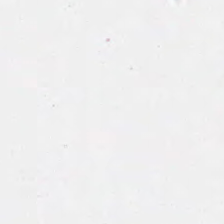H&E stain. Impression → no tissue.
